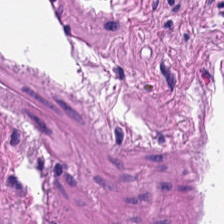{"tissue_type": "smooth muscle"}
